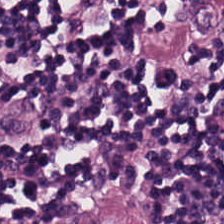Q: What is shown in this field?
A: The field shows lymphocyte aggregate.
